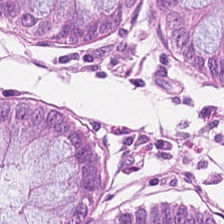Tissue: non-neoplastic colon mucosa.
